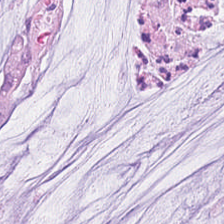FFPE tissue section · H&E · 0.5 microns per pixel.
Showing mucus.
